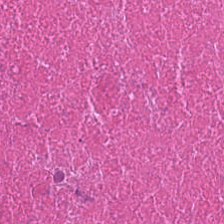Brightfield; H&E-stained tissue section. Cellular debris.
